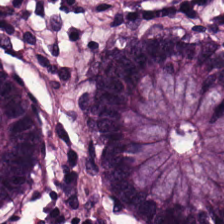H&E-stained tissue section — The tissue class is normal colon mucosa.
